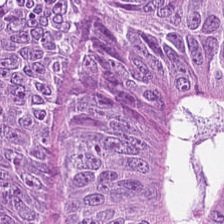Hematoxylin and eosin — Q: Identify the tissue.
A: It is tumor epithelium.
